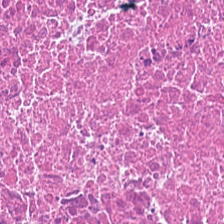H&E-stained section; the field shows cellular debris.
